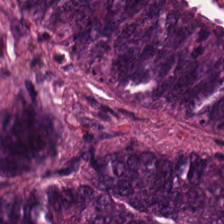H&E stain — Q: What is the predominant tissue type?
A: This is tumor epithelium.
